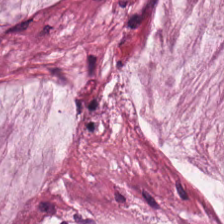Showing extracellular mucin.
